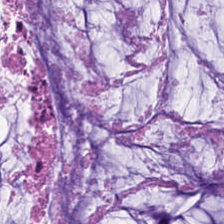Stain: hematoxylin and eosin.
Classification: mucus.
